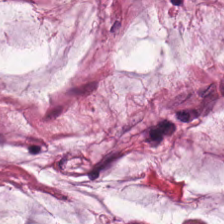Impression → mucus.
